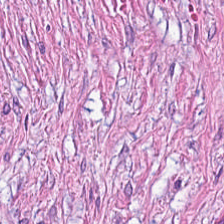H&E-stained tissue section; whole-slide-image patch; formalin-fixed paraffin-embedded section — Tissue type = tumor stroma.
